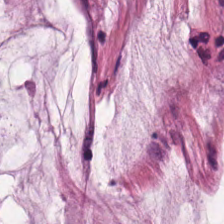H&E-stained tissue section. Q: What type of tissue is this?
A: The field shows mucus.
